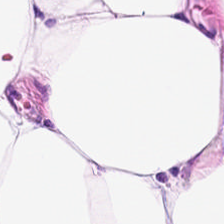H&E-stained tissue section — Predominant tissue — adipocytes.
